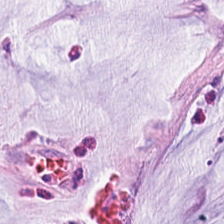H&E-stained tissue section.
Finding → mucin.
